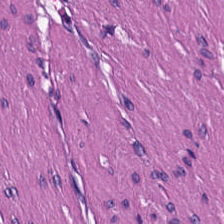Hematoxylin and eosin — Predominant tissue: muscularis.
